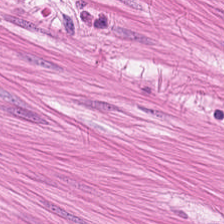224×224 px tile; hematoxylin-and-eosin stained section.
Predominantly muscularis.
